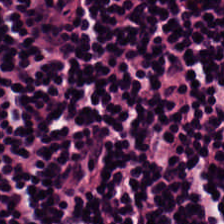WSI patch; H&E-stained tissue section; 0.5 µm/px. Q: What is shown here?
A: Lymphocytic infiltrate.
